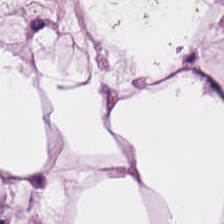Brightfield microscopy. 0.5 µm per pixel. Hematoxylin-and-eosin stained section. The tissue is fat tissue.
